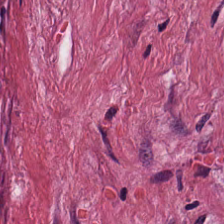H&E-stained tissue section — Q: What does this patch show?
A: Cancer-associated stroma.
